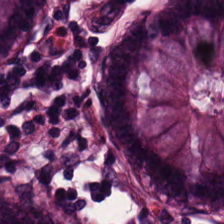Hematoxylin-and-eosin stained section.
Predominantly normal colon mucosa.
